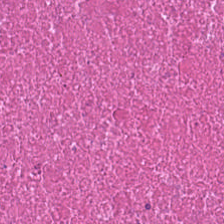Hematoxylin-and-eosin stained section. Impression → debris.
